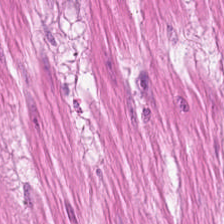Q: What is shown here?
A: The field shows muscularis.
